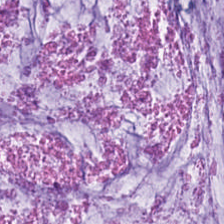H&E; brightfield microscopy. Tissue type: mucin.
